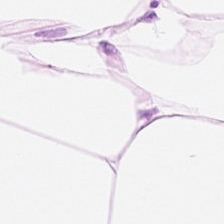Hematoxylin-and-eosin stained section. This field is adipose tissue.
